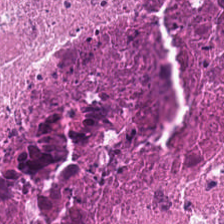H&E-stained tissue section.
Q: What is the predominant tissue type?
A: It is debris.
